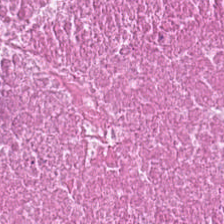Stain: H&E stain.
Classification: debris.
